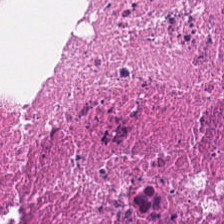Stain: H&E stain.
Classification: necrotic debris.
